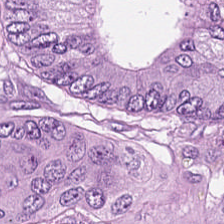Predominantly colorectal adenocarcinoma epithelium.
